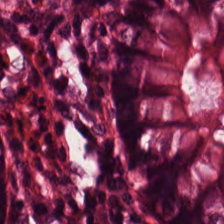Q: What is shown here?
A: This is benign colonic mucosa.
